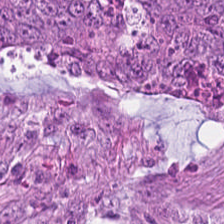0.5 µm per pixel. Hematoxylin-and-eosin stained section. The tissue is malignant epithelium.
